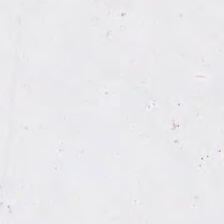H&E — This patch shows no tissue.
